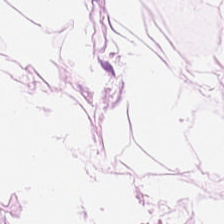Hematoxylin-and-eosin stained section; 224×224 px patch — Q: Classify this patch.
A: The field shows adipocytes.
